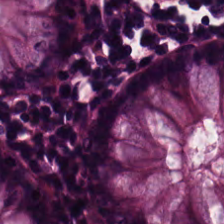Stain: hematoxylin and eosin.
Acquisition: whole-slide-image patch.
Tissue type: non-neoplastic colon mucosa.
